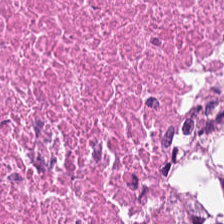Histology → cellular debris.
